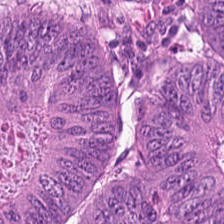Hematoxylin-and-eosin stained section. Impression → tumor epithelium.
